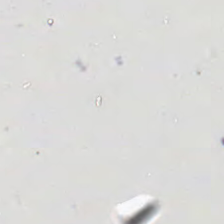H&E stain. Q: What is shown here?
A: It is background.
